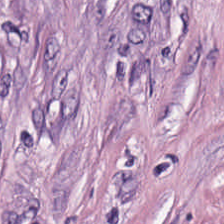Stain: H&E stain.
Tile size: 224×224 pixel tile.
Classification: cancer-associated stroma.
